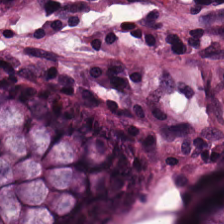Hematoxylin-and-eosin stained section; formalin-fixed paraffin-embedded section; 224×224 pixel tile — Predominantly non-neoplastic colon mucosa.
